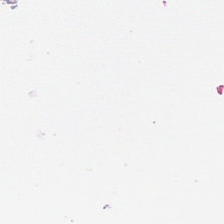Hematoxylin and eosin. Finding → empty background.
